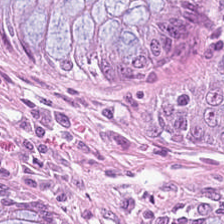Hematoxylin and eosin.
This patch shows non-neoplastic colon mucosa.
